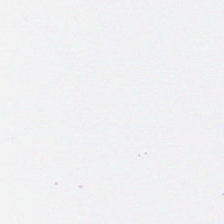Hematoxylin and eosin. 224×224 px patch. This patch shows background.
